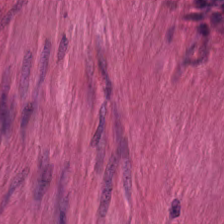Hematoxylin and eosin.
Showing smooth muscle.
